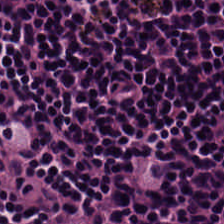0.5 µm per pixel. Hematoxylin-and-eosin stained section — Q: What is shown here?
A: This is lymphocyte aggregate.
